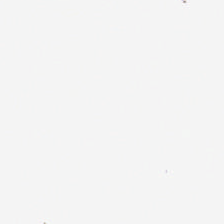Stain: H&E-stained tissue section.
Classification: background (no tissue).
